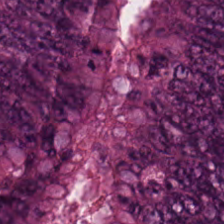Hematoxylin and eosin. Showing mucin.
